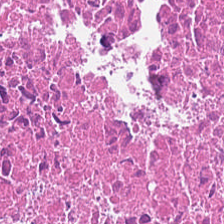This field is cellular debris.
